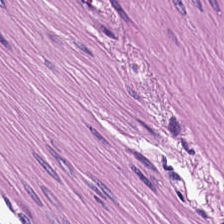This patch shows smooth-muscle tissue.
